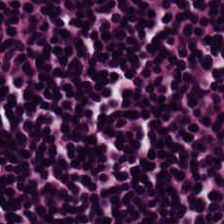H&E-stained tissue section; 224×224 px patch. Q: What tissue is shown?
A: Lymphoid infiltrate.
